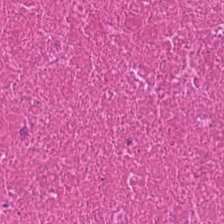H&E-stained tissue section.
The predominant tissue is cellular debris.
